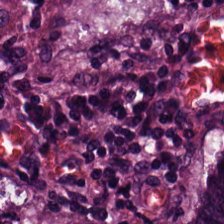Q: What is shown here?
A: It is colorectal adenocarcinoma.
